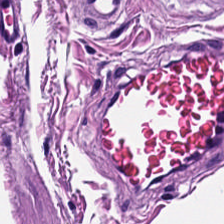H&E stain; 224×224 pixel tile.
Q: What is the predominant tissue type?
A: This is smooth muscle.
